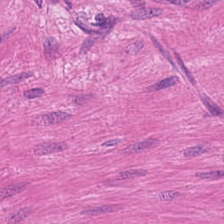Hematoxylin and eosin — Muscularis.
